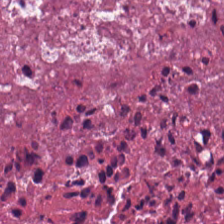H&E stain. 224×224 px tile. Brightfield microscopy.
Showing debris.
